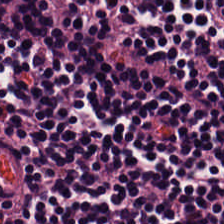H&E-stained tissue section — Finding → lymphocyte aggregate.
